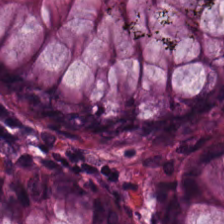Hematoxylin-and-eosin stained section. 20× equivalent magnification.
Predominantly benign colonic mucosa.
